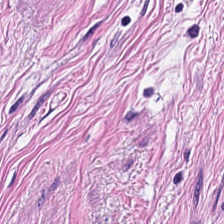H&E-stained tissue section — Q: What is shown in this field?
A: This is smooth muscle.
